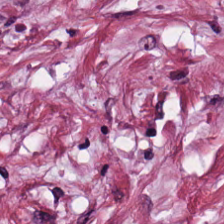H&E stain.
Impression → tumor stroma.
